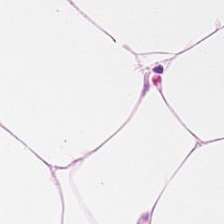Classification = adipose.
